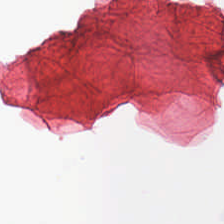Q: Classify this patch.
A: This is empty background.
